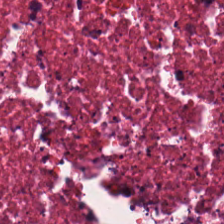Q: What is shown here?
A: This is cellular debris.
